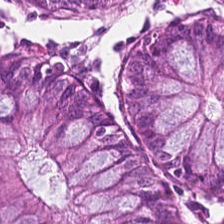H&E-stained tissue section; brightfield microscopy; 224×224 px tile — The tissue type is normal colonic mucosa.
